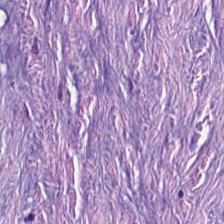H&E-stained tissue section.
Predominantly tumor-associated stroma.
